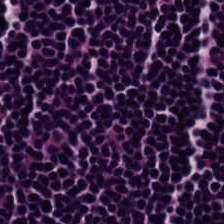Histology → lymphocytes.
